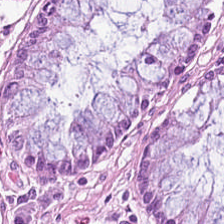Hematoxylin-and-eosin stained section. Showing normal colonic mucosa.
